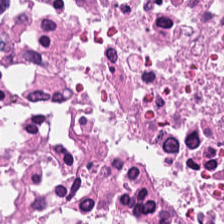H&E stain · formalin-fixed paraffin-embedded section. Q: What tissue type is shown here?
A: Necrotic debris.
